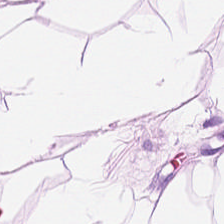H&E stain. The tissue here is adipose.
